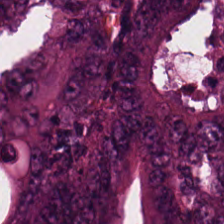H&E. The tissue here is colorectal adenocarcinoma epithelium.
